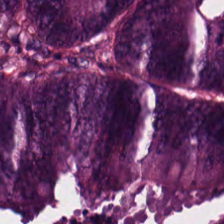H&E-stained tissue section.
Tissue — adenocarcinoma.
